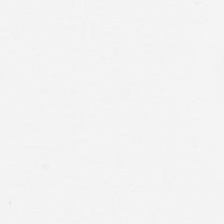Stain: H&E.
Content: empty background.
